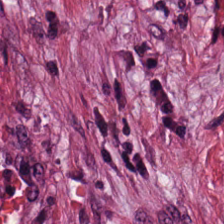Hematoxylin-and-eosin stained section.
Tissue class: tumor-associated stroma.
